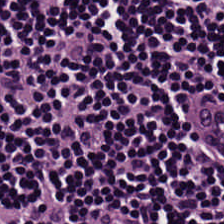H&E-stained tissue section.
The tissue here is lymphocyte aggregate.
